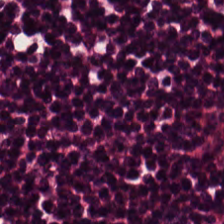Hematoxylin-and-eosin stained section.
Tissue type — lymphocyte aggregate.
